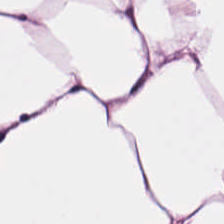H&E-stained tissue section. This patch shows adipocytes.
